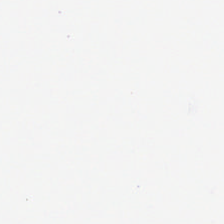0.5 microns per pixel · H&E-stained tissue section · FFPE tissue section.
Q: What is shown here?
A: The field shows empty background.
